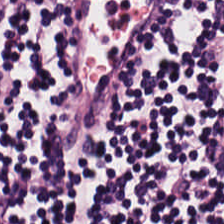This patch shows lymphoid infiltrate.
